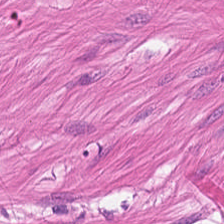The predominant tissue is smooth muscle.
